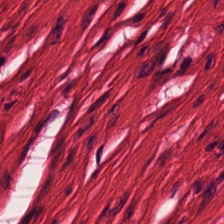Classification — smooth-muscle tissue.
